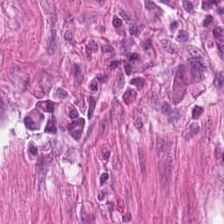H&E; whole-slide-image patch; FFPE tissue section.
Impression — smooth-muscle tissue.
